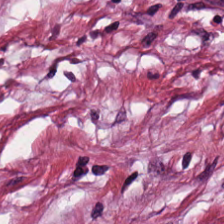Hematoxylin and eosin; 20× equivalent magnification; WSI patch.
Predominant tissue = desmoplastic stroma.
